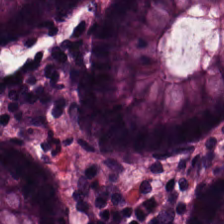H&E stain.
The predominant tissue is non-neoplastic colon mucosa.
